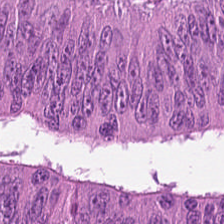Stain: hematoxylin-and-eosin stained section.
Classification: colorectal adenocarcinoma epithelium.
